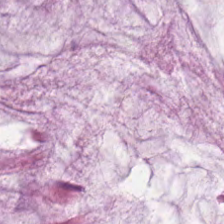Hematoxylin and eosin. Tissue: mucin.
